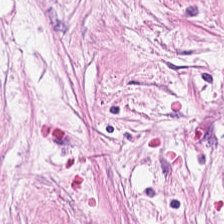Stain: H&E.
Predominant tissue: tumor stroma.
